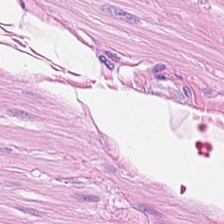0.5 microns per pixel. H&E stain — Tissue = muscularis.
